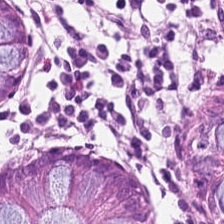H&E stain. Normal colonic mucosa.
